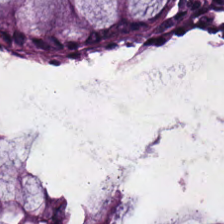Stain: H&E stain.
Resolution: 20× equivalent magnification.
Tile size: 224×224 px patch.
Tissue type: benign colonic mucosa.
